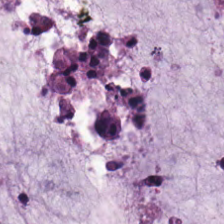224×224 px patch · H&E-stained tissue section · FFPE tissue section.
This field is mucus.
